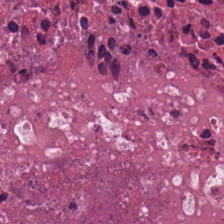H&E-stained tissue section.
Q: What is shown in this field?
A: Debris.
